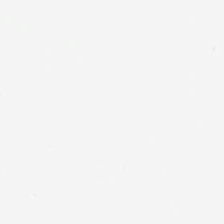Hematoxylin-and-eosin stained section · brightfield — Background.
